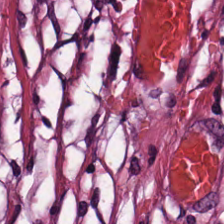H&E stain; WSI patch — This patch shows desmoplastic stroma.
